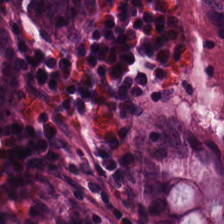Hematoxylin-and-eosin stained section. 0.5 µm/px. Benign colonic mucosa.
